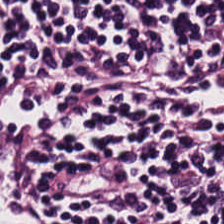FFPE · H&E · 0.5 µm per pixel.
The tissue type is lymphocyte aggregate.
